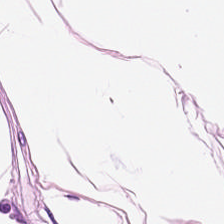Tissue — adipose.
